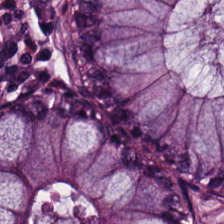Q: What is shown here?
A: Non-neoplastic colon mucosa.
